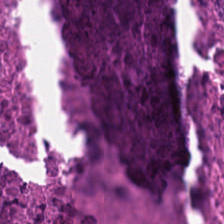Hematoxylin and eosin · FFPE tissue section.
The tissue is necrotic debris.
